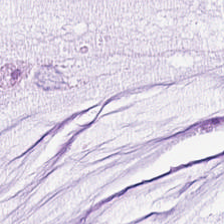H&E-stained tissue section.
The tissue here is mucus.
